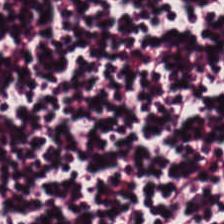224×224 px tile; H&E.
Q: What does this patch show?
A: This is lymphocytic infiltrate.
